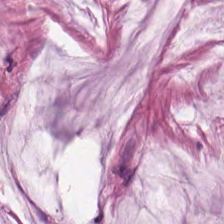224×224 pixel tile · H&E-stained tissue section. Impression — extracellular mucin.
